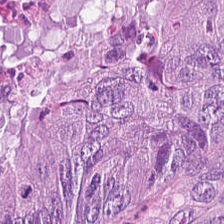Hematoxylin and eosin.
Predominant tissue — malignant epithelium.
